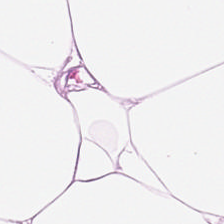Hematoxylin-and-eosin stained section. Q: What is shown here?
A: This is fat tissue.
